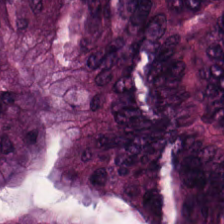H&E-stained section; the field shows colorectal adenocarcinoma epithelium.
